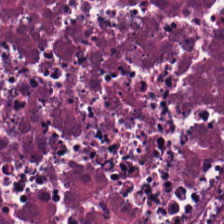H&E stain.
Tissue class: necrotic debris.
